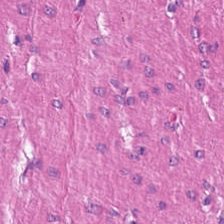H&E stain; 224×224 px patch; FFPE tissue section. Smooth-muscle tissue.
